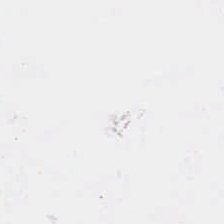H&E stain. Empty field — background.
